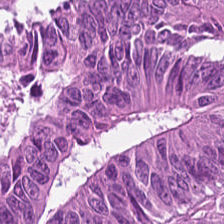H&E stain — The tissue class is colorectal adenocarcinoma epithelium.
